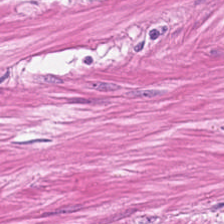H&E. Brightfield microscopy — Q: What tissue is shown?
A: It is smooth muscle.
